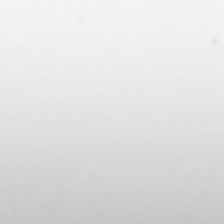This patch shows no tissue.
